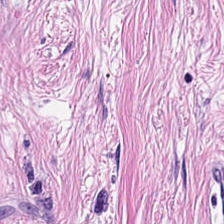H&E. FFPE tissue section.
Predominant tissue: tumor stroma.
